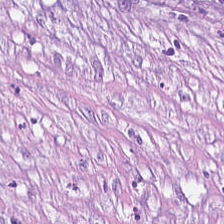WSI patch. Hematoxylin-and-eosin stained section. 224×224 px patch — The predominant tissue is desmoplastic stroma.
